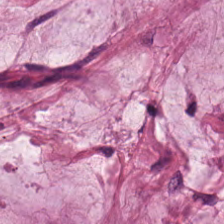FFPE tissue section · H&E-stained tissue section · 224×224 pixel tile — Classification = mucus.
